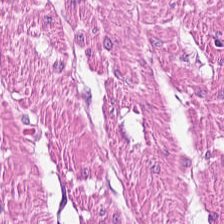H&E-stained tissue section. The predominant tissue is muscularis.
